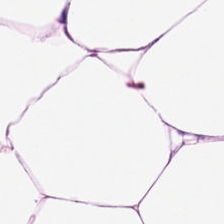H&E stain — This field is adipocytes.
